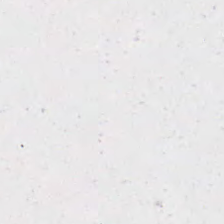WSI patch. H&E. 224×224 pixel tile. This field is background (no tissue).
